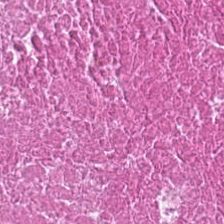Stain: hematoxylin and eosin.
Tissue: cellular debris.
